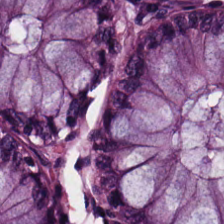Showing normal colon mucosa.
